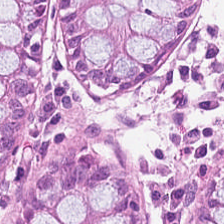H&E; FFPE tissue section.
The tissue here is non-neoplastic colon mucosa.
